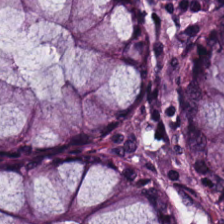FFPE · H&E stain. Impression → non-neoplastic colon mucosa.
